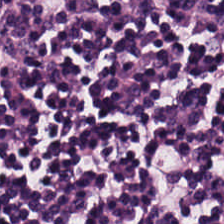Hematoxylin-and-eosin stained section.
The predominant tissue is lymphocytes.
